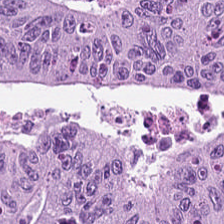H&E. Formalin-fixed paraffin-embedded section.
Adenocarcinoma.
